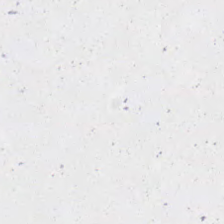224×224 px tile; H&E — Field content = empty background.
